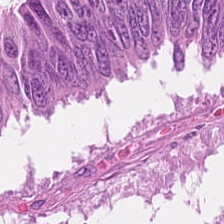Stain: hematoxylin and eosin.
Tile size: 224×224 pixel tile.
Acquisition: brightfield.
Classification: colorectal adenocarcinoma epithelium.
